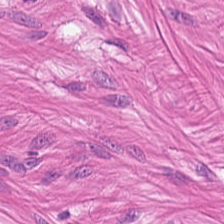H&E-stained tissue section. Tissue class = muscularis.
